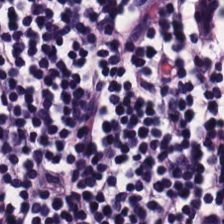H&E · 224×224 px patch.
Predominant tissue: lymphocytes.
